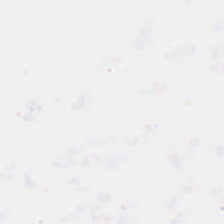Empty field — background (no tissue).
